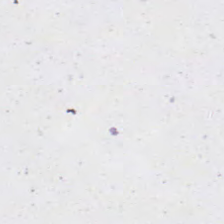Stain: H&E stain.
Acquisition: brightfield microscopy.
Classification: no tissue.
